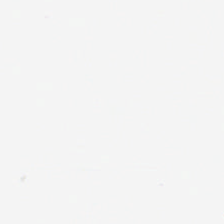H&E stain. FFPE tissue section — The content is background.
